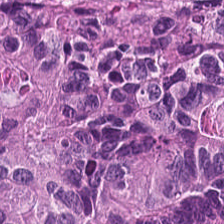H&E. Q: What is shown in this field?
A: The field shows colorectal adenocarcinoma epithelium.
